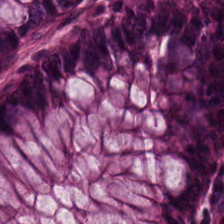H&E-stained tissue section.
The tissue here is normal colon mucosa.
